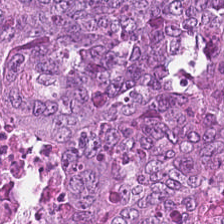Hematoxylin-and-eosin stained section.
This field is malignant epithelium.
